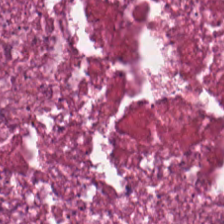H&E stain.
Q: What is shown here?
A: The field shows cellular debris.
